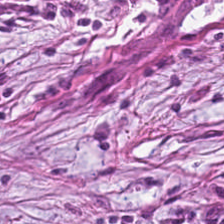H&E-stained tissue section — Predominantly desmoplastic stroma.
